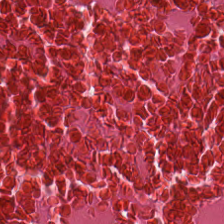H&E — Tissue class = necrotic debris.
